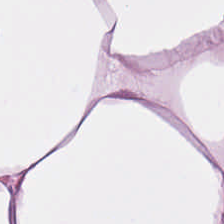FFPE. H&E stain.
Histology — adipocytes.
